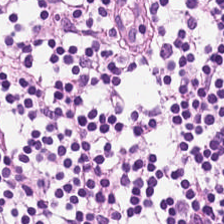Hematoxylin and eosin · WSI patch.
Predominantly lymphocytes.
